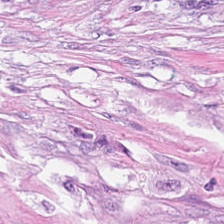FFPE. 224×224 px patch. H&E.
{"tissue_type": "cancer-associated stroma"}
